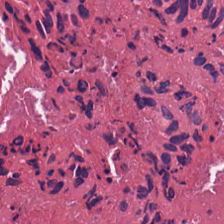WSI patch · hematoxylin and eosin. {"tissue_type": "cellular debris"}
